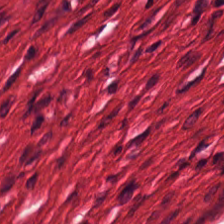Stain: hematoxylin-and-eosin stained section.
Resolution: 20× equivalent magnification.
Predominant tissue: smooth muscle.
